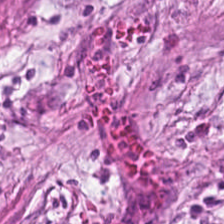Stain: H&E stain.
Resolution: 0.5 µm per pixel.
Tile size: 224×224 px patch.
Tissue class: desmoplastic stroma.
